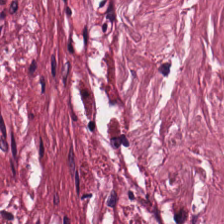Hematoxylin and eosin. Q: What is shown in this field?
A: Tumor stroma.
